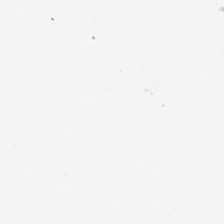H&E-stained tissue section — Q: Classify this patch.
A: The field shows no tissue.
